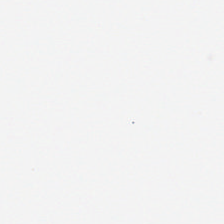FFPE. H&E stain — This field is background (no tissue).
